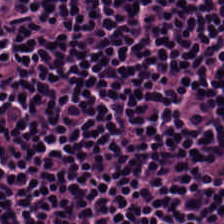Q: What type of tissue is this?
A: It is lymphocytes.
